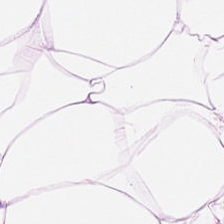H&E-stained tissue section. Tissue type — adipose tissue.
